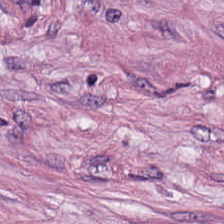FFPE. Hematoxylin and eosin. Q: Classify this patch.
A: It is desmoplastic stroma.
